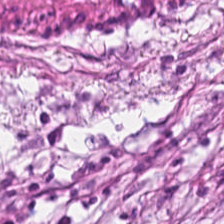Hematoxylin and eosin. 224×224 pixel tile. Desmoplastic stroma.
